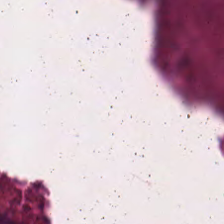Q: What does this patch show?
A: The field shows cellular debris.
